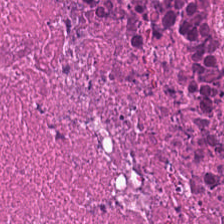Q: What does this patch show?
A: It is necrotic debris.
